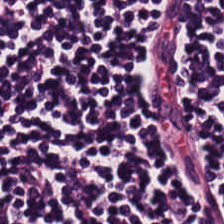Hematoxylin and eosin.
Finding — lymphoid infiltrate.
